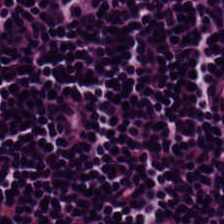Brightfield microscopy · hematoxylin and eosin — Tissue type = lymphocytes.
